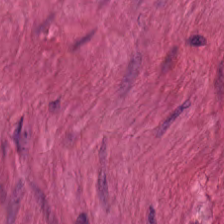Hematoxylin and eosin · 0.5 microns per pixel · brightfield microscopy.
This field is smooth muscle.
